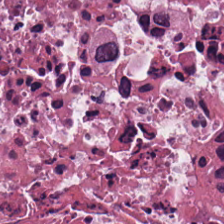Brightfield microscopy; H&E. Tissue — debris.
